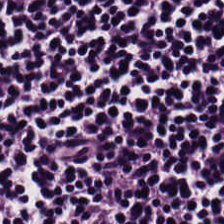Hematoxylin-and-eosin stained section. The predominant tissue is lymphocytic infiltrate.
